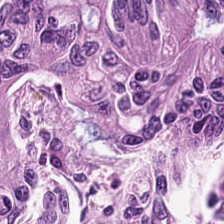Showing malignant epithelium.
